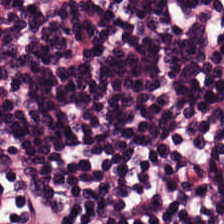FFPE · hematoxylin and eosin.
The tissue here is lymphocytic infiltrate.
